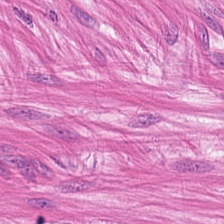Tissue — muscularis.
